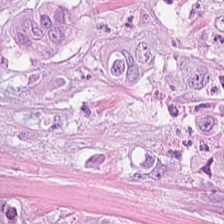FFPE; H&E-stained tissue section. Classification: malignant epithelium.
